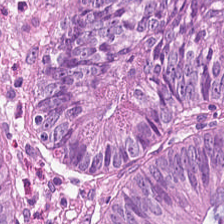Formalin-fixed paraffin-embedded section. Whole-slide-image patch. H&E stain — Q: What does this patch show?
A: The field shows adenocarcinoma.
